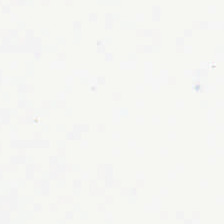Empty field — background (no tissue).
